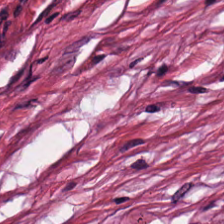Predominantly desmoplastic stroma.
